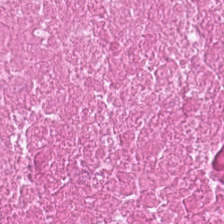H&E stain. Brightfield.
The tissue is debris.
